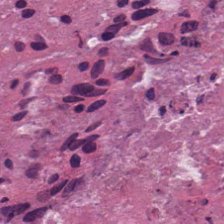Brightfield. H&E-stained tissue section. 0.5 µm/px.
The predominant tissue is cellular debris.
